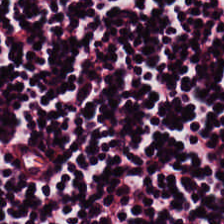Hematoxylin-and-eosin section: lymphoid infiltrate.
